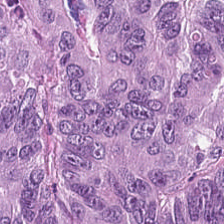H&E stain; 224×224 px tile.
Impression — adenocarcinoma.
